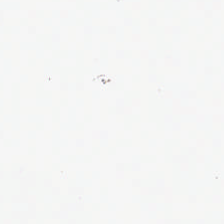H&E stain; 224×224 px tile — Q: Classify this patch.
A: The field shows empty background.
